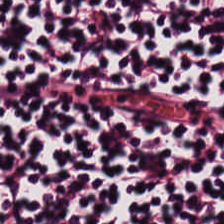Q: Identify the tissue.
A: It is lymphoid infiltrate.
